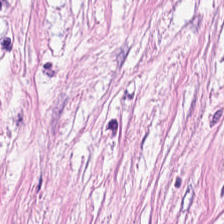Brightfield microscopy · H&E. This patch shows tumor stroma.
